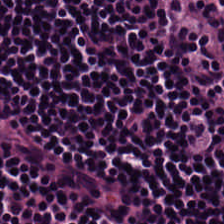{"tissue_type": "lymphocytes"}
